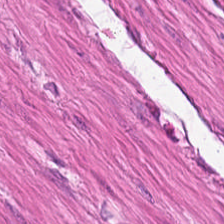Hematoxylin and eosin. 224×224 pixel tile.
Predominant tissue = muscularis.
